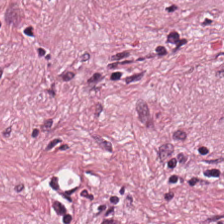WSI patch; H&E; 0.5 µm/px — Tissue = tumor stroma.
